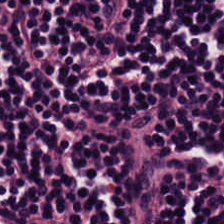Q: What does this patch show?
A: The field shows lymphocytes.
